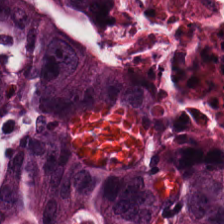Stain: H&E stain.
Predominant tissue: malignant epithelium.
